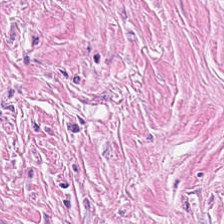H&E. Predominantly desmoplastic stroma.
